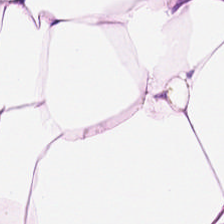H&E-stained tissue section — This field is adipose.
